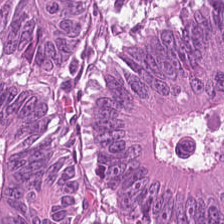0.5 microns per pixel; H&E-stained tissue section. The predominant tissue is adenocarcinoma.
